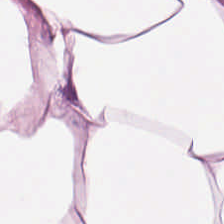224×224 pixel tile · WSI patch · hematoxylin-and-eosin stained section.
This field is adipose.
